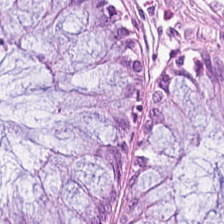This field is benign colonic mucosa.
